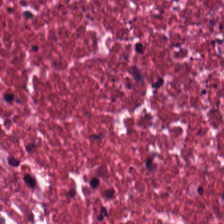H&E; brightfield; FFPE.
The predominant tissue is cellular debris.
